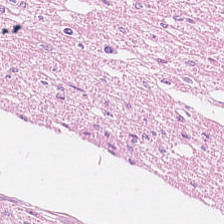Hematoxylin-and-eosin stained section — Q: Classify this patch.
A: This is smooth-muscle tissue.
